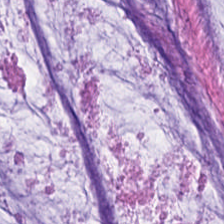224×224 pixel tile; FFPE tissue section; hematoxylin-and-eosin stained section. This patch shows mucin.
